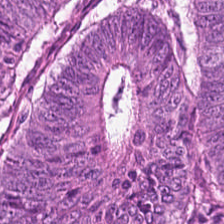H&E-stained section; the field shows tumor epithelium.
